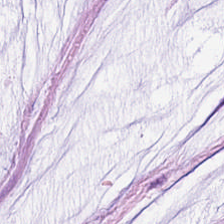H&E stain. 0.5 µm/px — Finding → mucus.
